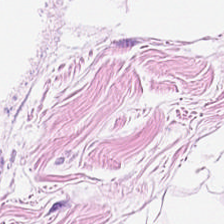H&E-stained tissue section · brightfield microscopy. Tissue class = adipocytes.
